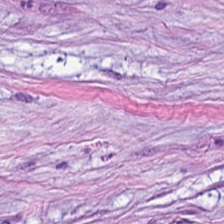The predominant tissue is cancer-associated stroma.
